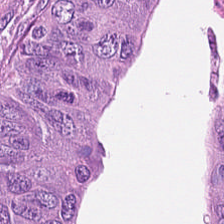Brightfield microscopy; 224×224 pixel tile; hematoxylin and eosin. Finding → colorectal adenocarcinoma epithelium.
